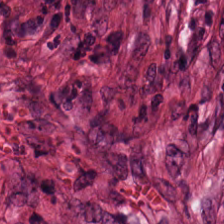Stain: hematoxylin and eosin.
Acquisition: brightfield.
Tissue class: tumor-associated stroma.
